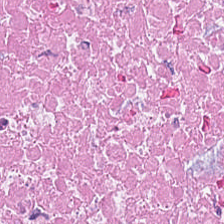H&E.
The predominant tissue is cellular debris.
